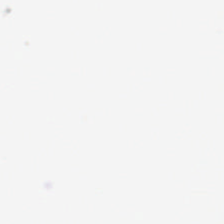224×224 px tile; H&E — Impression → background (no tissue).
